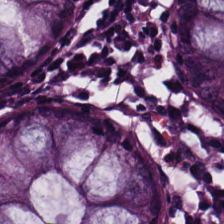Stain: H&E-stained tissue section.
Tissue class: normal colon mucosa.
